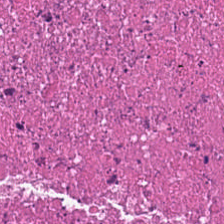The predominant tissue is cellular debris.
